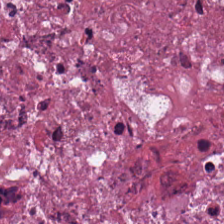WSI patch; H&E stain. Q: What tissue is shown?
A: This is necrotic debris.
